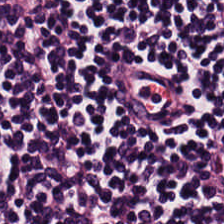Predominant tissue = lymphoid infiltrate.
